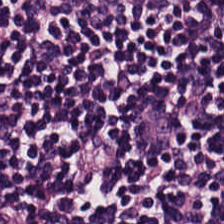Impression → lymphocyte aggregate.
